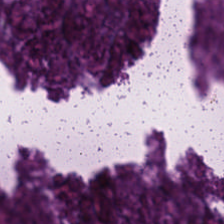224×224 px patch · hematoxylin and eosin — The classification is cellular debris.
